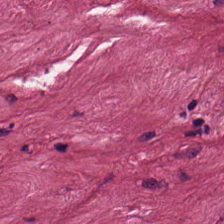This patch shows desmoplastic stroma.
